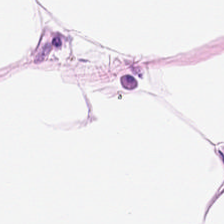Hematoxylin-and-eosin stained section — Showing fat tissue.
